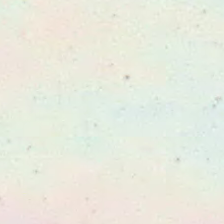H&E-stained tissue section.
Q: What does this patch show?
A: It is no tissue.
